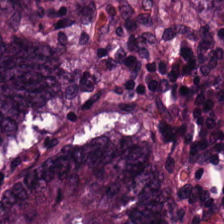FFPE tissue section; H&E. Tissue type = malignant epithelium.
